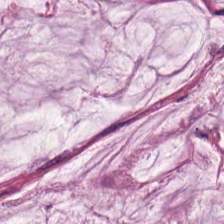Hematoxylin-and-eosin stained section. Finding → extracellular mucin.
